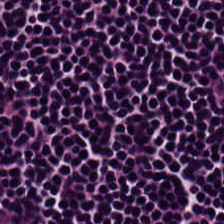224×224 px patch · brightfield microscopy · hematoxylin and eosin — This field is lymphocyte aggregate.
